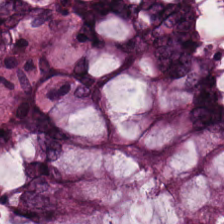H&E stain — Q: What does this patch show?
A: It is normal colon mucosa.
